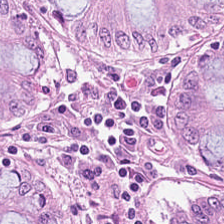0.5 µm/px; H&E.
The predominant tissue is normal colonic mucosa.
